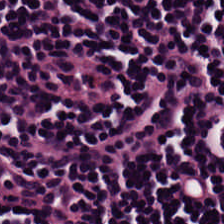H&E. Q: What type of tissue is this?
A: The field shows lymphoid infiltrate.
